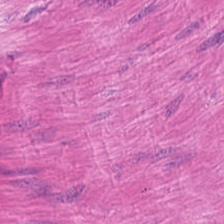H&E stain · brightfield · 224×224 pixel tile. The tissue here is smooth muscle.
